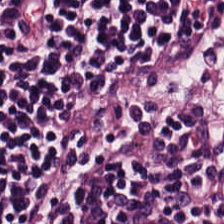This field is lymphoid infiltrate.
